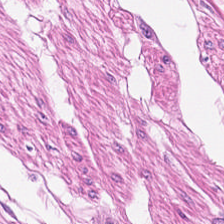Hematoxylin-and-eosin section: smooth muscle.
